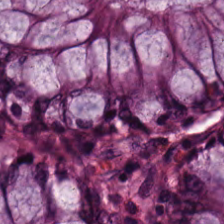H&E stain — This field is normal colon mucosa.
